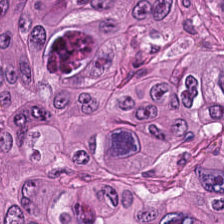H&E-stained tissue section. 224×224 px patch.
Classification = tumor epithelium.
